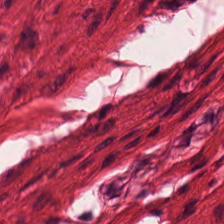WSI patch. 0.5 µm/px. Hematoxylin and eosin.
Q: What tissue type is shown here?
A: Smooth muscle.
